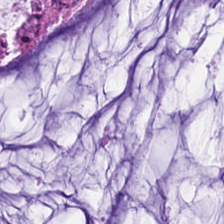H&E stain.
This field is extracellular mucin.
